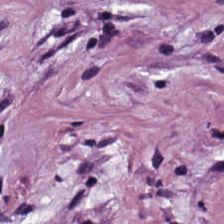Hematoxylin-and-eosin stained section.
Finding — cancer-associated stroma.
